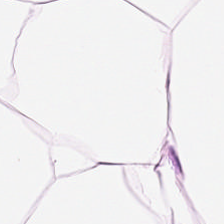H&E-stained tissue section. Q: What type of tissue is this?
A: This is fat tissue.
